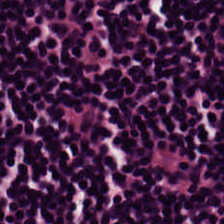H&E-stained tissue section.
This patch shows lymphoid infiltrate.
